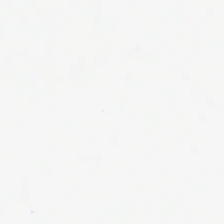224×224 px patch; 0.5 µm/px; hematoxylin and eosin. Background — no tissue in this field.
